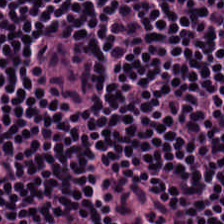Hematoxylin-and-eosin stained section.
Histology → lymphocyte aggregate.
